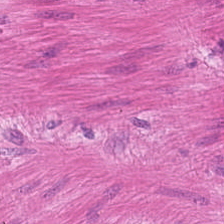Q: What is the predominant tissue type?
A: It is smooth muscle.
